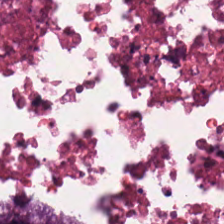Tissue type — cellular debris.
